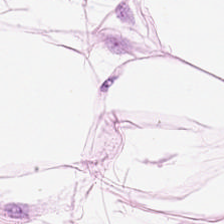H&E-stained tissue section — Classification = adipose.
